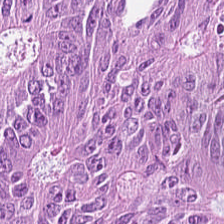Hematoxylin-and-eosin stained section; FFPE tissue section. Impression → malignant epithelium.
